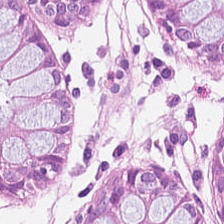Stain: H&E.
Preparation: FFPE.
Resolution: 0.5 microns per pixel.
Tissue type: normal colon mucosa.
